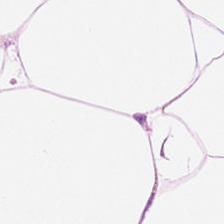Hematoxylin and eosin — This patch shows fat tissue.
